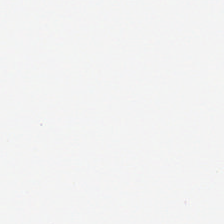H&E stain. Impression — empty background.
